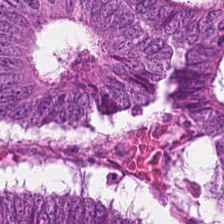Stain: H&E-stained tissue section.
Tissue type: colorectal adenocarcinoma epithelium.
